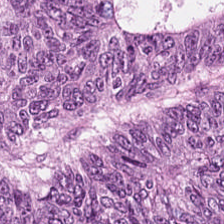H&E-stained tissue section.
Predominant tissue: adenocarcinoma.
